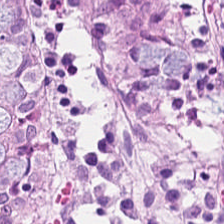Hematoxylin and eosin. Tissue type = benign colonic mucosa.
